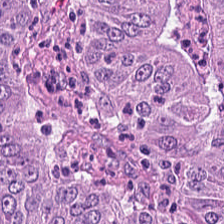Hematoxylin and eosin. FFPE.
Predominant tissue — tumor epithelium.
